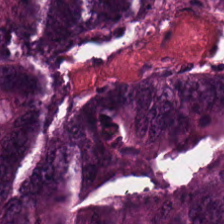Hematoxylin-and-eosin section: adenocarcinoma.
